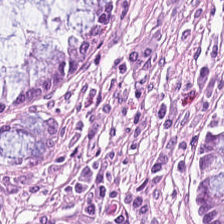This patch shows non-neoplastic colon mucosa.
